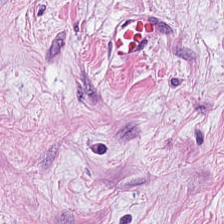Hematoxylin-and-eosin stained section.
Predominantly desmoplastic stroma.
